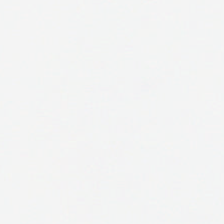H&E stain — Background — no tissue in this field.
